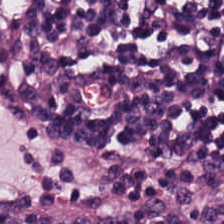H&E stain. Brightfield microscopy — Histology → lymphoid infiltrate.
